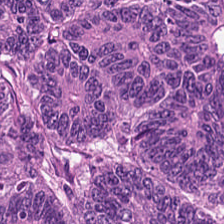Hematoxylin-and-eosin stained section; 224×224 px tile. Q: Identify the tissue.
A: Malignant epithelium.
